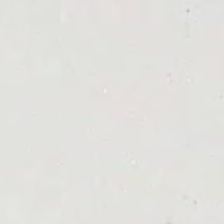H&E — This patch shows background (no tissue).
